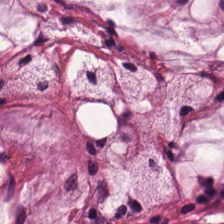H&E stain. FFPE tissue section. 0.5 microns per pixel.
The predominant tissue is mucus.
